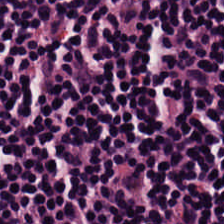Whole-slide-image patch · 224×224 px tile · H&E stain — Predominantly lymphocytes.
